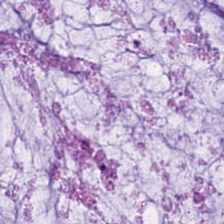Tissue class — extracellular mucin.
